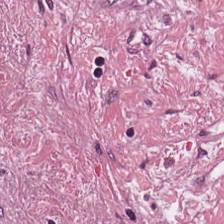H&E stain — Q: Classify this patch.
A: Tumor stroma.
